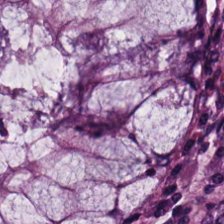Tissue class — benign colonic mucosa.
